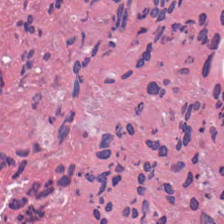Hematoxylin-and-eosin stained section.
Showing necrotic debris.
